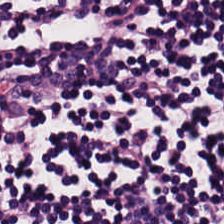WSI patch. H&E-stained tissue section. 0.5 µm/px. Lymphocytic infiltrate.
